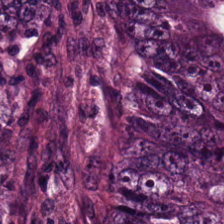Malignant epithelium.
